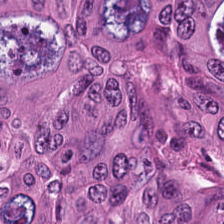Finding → adenocarcinoma.
